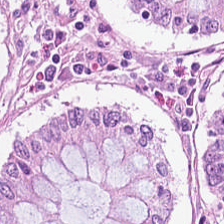Q: What is the predominant tissue type?
A: The field shows normal colonic mucosa.
